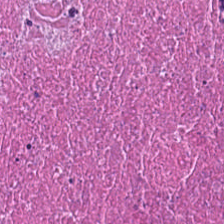20× equivalent magnification; H&E-stained tissue section — Predominant tissue — necrotic debris.
